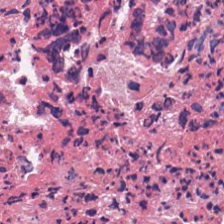224×224 pixel tile. H&E stain. 0.5 µm per pixel.
Tissue type = debris.
